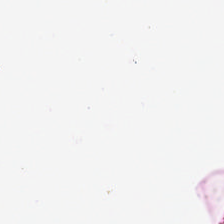Q: Classify this patch.
A: It is background.
